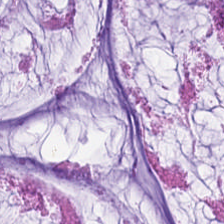Predominantly extracellular mucin.
